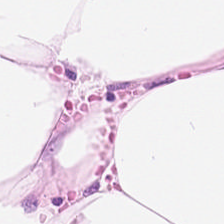H&E-stained tissue section. Q: What is the predominant tissue type?
A: The field shows fat tissue.
